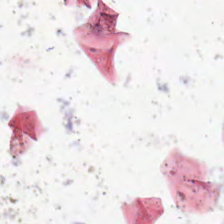Brightfield; 0.5 µm/px; H&E-stained tissue section — Histology → empty background.
